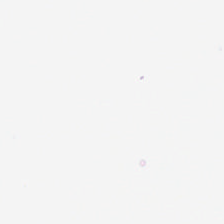Stain: H&E-stained tissue section.
Content: background (no tissue).
